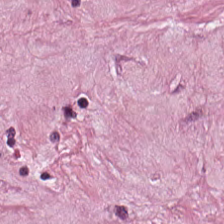Tissue class: tumor stroma.
